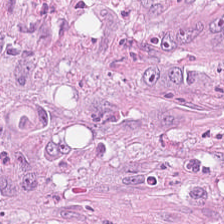H&E-stained tissue section.
Tissue type = colorectal adenocarcinoma.
